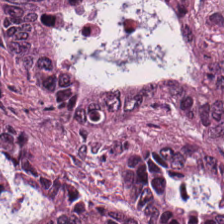Stain: hematoxylin-and-eosin stained section.
Classification: colorectal adenocarcinoma epithelium.
